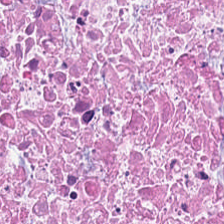224×224 px tile · H&E stain.
Tissue: cellular debris.
